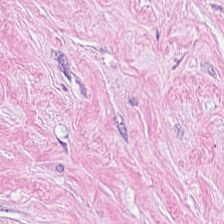H&E. 0.5 µm per pixel. Q: What tissue type is shown here?
A: Desmoplastic stroma.
